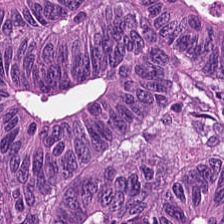H&E-stained tissue section. Predominantly colorectal adenocarcinoma.
